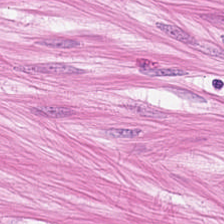H&E stain — Predominant tissue = smooth-muscle tissue.
